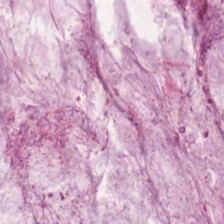Stain: hematoxylin and eosin.
Tissue type: mucin.
